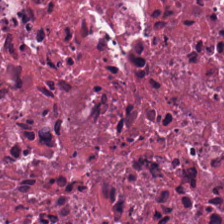H&E stain. Q: Classify this patch.
A: It is necrotic debris.
